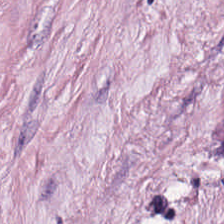20× equivalent magnification. Hematoxylin-and-eosin stained section — {"tissue_type": "desmoplastic stroma"}
